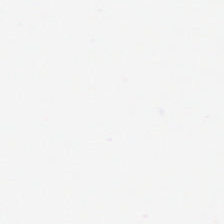H&E-stained tissue section. Q: What is shown in this field?
A: Empty background.
